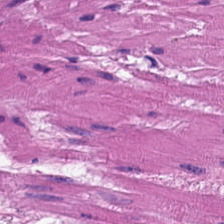Stain: hematoxylin-and-eosin stained section.
Resolution: 0.5 µm/px.
Preparation: FFPE.
Classification: smooth-muscle tissue.
